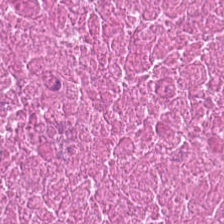H&E stain.
Impression — necrotic debris.
